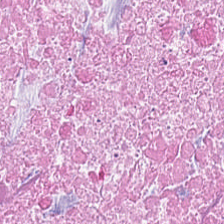{"tissue_type": "debris"}
